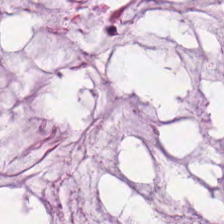H&E stain.
The tissue here is mucin.
